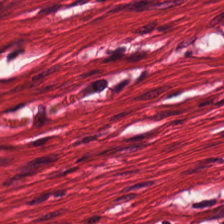H&E; 0.5 µm per pixel — Histology → muscularis.
